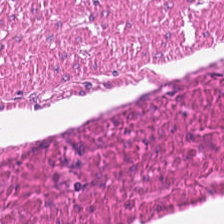Stain: H&E stain.
Resolution: 0.5 µm per pixel.
Preparation: FFPE tissue section.
Tissue type: smooth-muscle tissue.
